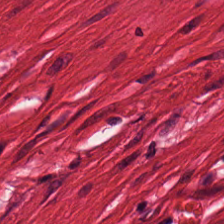Hematoxylin and eosin — Showing smooth muscle.
